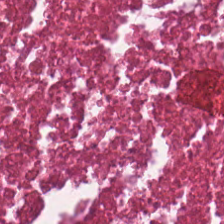H&E stain — Classification — debris.
